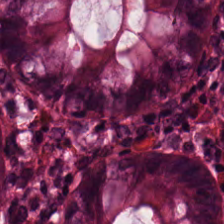H&E stain; brightfield microscopy; 20× equivalent magnification — Tissue = normal colon mucosa.
